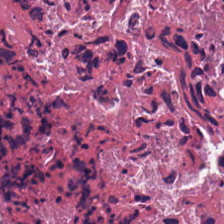FFPE; H&E stain — The predominant tissue is debris.
